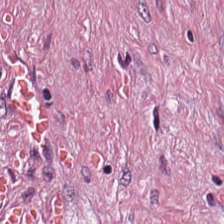224×224 pixel tile. H&E-stained tissue section. WSI patch — Tissue — cancer-associated stroma.
